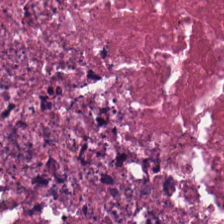The tissue here is necrotic debris.
